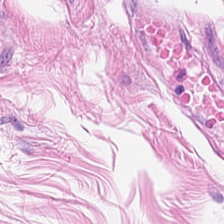Hematoxylin and eosin — Q: What type of tissue is this?
A: It is muscularis.
